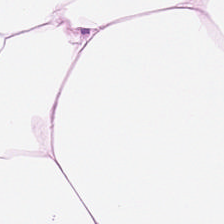224×224 px tile; H&E stain; formalin-fixed paraffin-embedded section.
Tissue type — fat tissue.
